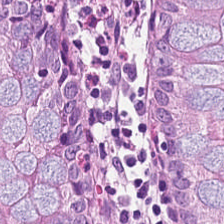224×224 px patch · hematoxylin and eosin · 20× equivalent magnification. Showing non-neoplastic colon mucosa.
